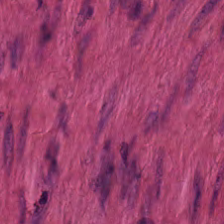H&E-stained tissue section. Predominant tissue = muscularis.
